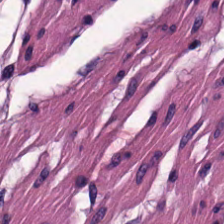FFPE tissue section; H&E-stained tissue section.
Q: What tissue type is shown here?
A: Smooth muscle.
